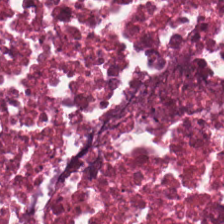0.5 µm/px. Hematoxylin-and-eosin stained section. Tissue class = necrotic debris.
